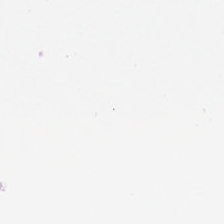H&E-stained tissue section.
This patch shows no tissue.
